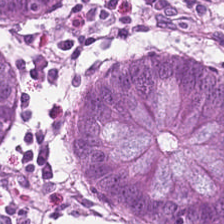Stain: H&E stain.
Acquisition: WSI patch.
Tissue type: non-neoplastic colon mucosa.
